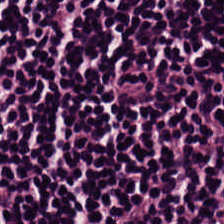H&E stain.
Q: Classify this patch.
A: It is lymphoid infiltrate.
